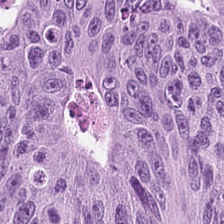Tissue = malignant epithelium.
